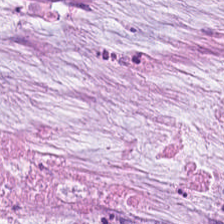H&E-stained tissue section.
Q: What tissue is shown?
A: The field shows extracellular mucin.
